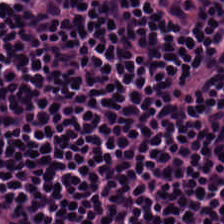Hematoxylin-and-eosin stained section.
This patch shows lymphocytic infiltrate.
